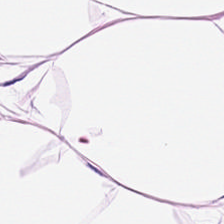Hematoxylin-and-eosin section: adipocytes.
